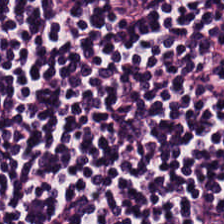Hematoxylin and eosin. Q: What type of tissue is this?
A: The field shows lymphocyte aggregate.
